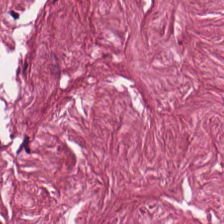Hematoxylin-and-eosin stained section. Q: What tissue is shown?
A: The field shows desmoplastic stroma.
